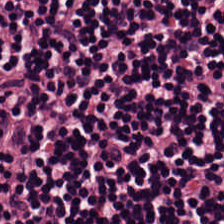Hematoxylin-and-eosin stained section.
{"tissue_type": "lymphocytes"}
